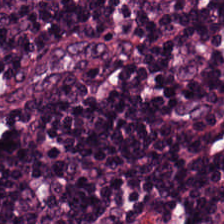Stain: H&E.
Resolution: 20× equivalent magnification.
Tissue: lymphocytes.
